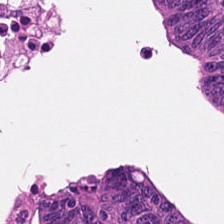Stain: hematoxylin and eosin.
Preparation: FFPE tissue section.
Acquisition: whole-slide-image patch.
Tissue class: colorectal adenocarcinoma.
